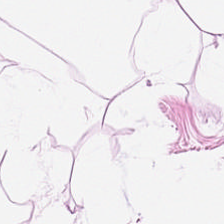Hematoxylin-and-eosin stained section — The tissue here is adipose.
